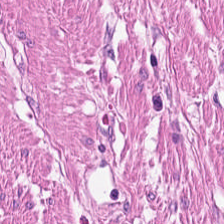Tissue — smooth muscle.
